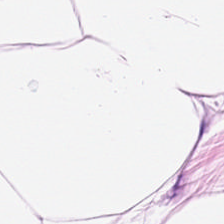0.5 µm per pixel; 224×224 px patch; H&E — {"tissue_type": "adipocytes"}
